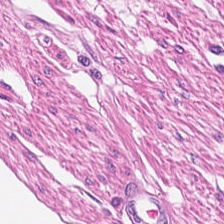H&E. This patch shows smooth muscle.
